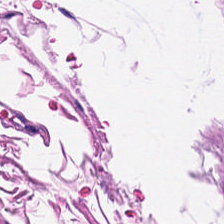H&E — The classification is smooth muscle.
